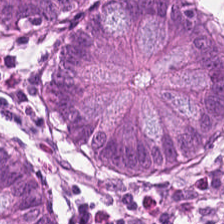H&E-stained tissue section · FFPE.
Non-neoplastic colon mucosa.
